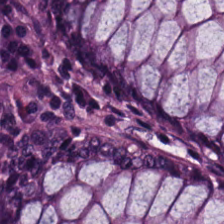Hematoxylin and eosin.
Tissue = normal colon mucosa.
